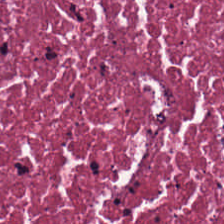Formalin-fixed paraffin-embedded section. Hematoxylin and eosin. Tissue class: necrotic debris.
